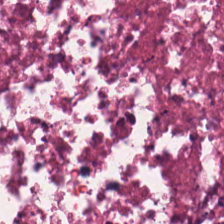Stain: H&E-stained tissue section.
Resolution: 0.5 µm per pixel.
Tile size: 224×224 px tile.
Predominant tissue: cellular debris.
